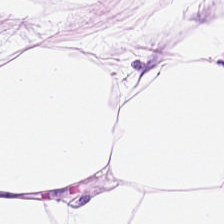Stain: H&E.
Tile size: 224×224 px patch.
Preparation: FFPE.
Tissue type: adipose.
